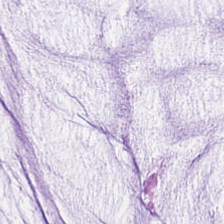Tissue = extracellular mucin.
